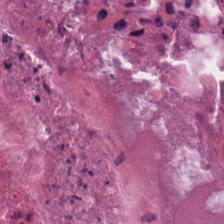H&E.
Necrotic debris.
